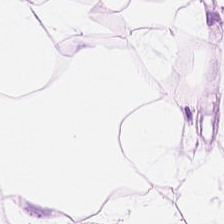H&E · 0.5 µm per pixel — The tissue here is adipose.
